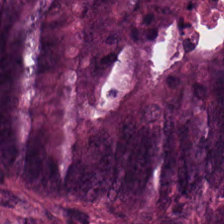Formalin-fixed paraffin-embedded section; hematoxylin-and-eosin stained section; 224×224 pixel tile — Tissue class = tumor epithelium.
